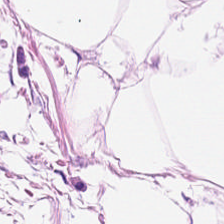H&E-stained section; the field shows adipose.
